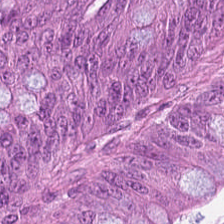H&E stain — Predominant tissue = tumor epithelium.
